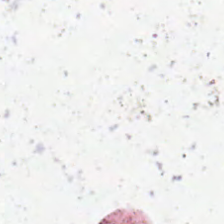Stain: hematoxylin and eosin.
Tile size: 224×224 px patch.
Classification: background (no tissue).
